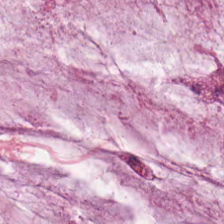H&E-stained tissue section showing mucus.
